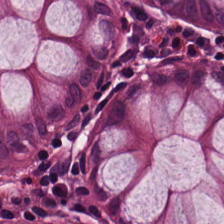Hematoxylin-and-eosin stained section. 224×224 pixel tile. FFPE tissue section. The tissue class is non-neoplastic colon mucosa.
